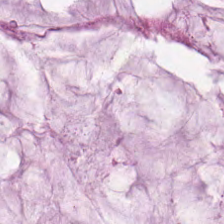Q: What type of tissue is this?
A: This is extracellular mucin.
